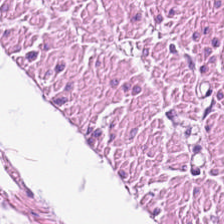Formalin-fixed paraffin-embedded section · hematoxylin and eosin · 0.5 microns per pixel.
Tissue type — muscularis.
